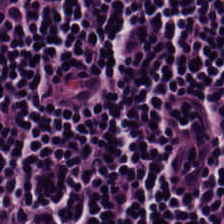FFPE; hematoxylin and eosin; 224×224 pixel tile. The tissue is lymphocytes.
